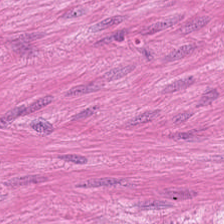Hematoxylin-and-eosin stained section — Tissue class — smooth-muscle tissue.
